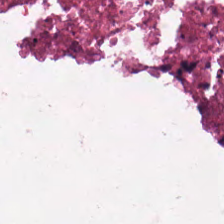Brightfield. Hematoxylin and eosin. Q: What tissue type is shown here?
A: This is cellular debris.
